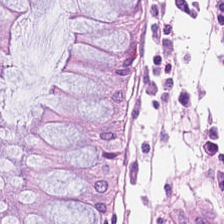WSI patch; H&E. Classification: normal colonic mucosa.
